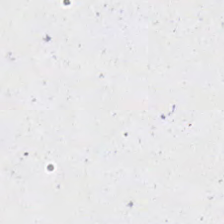Stain: H&E-stained tissue section.
Classification: no tissue.
